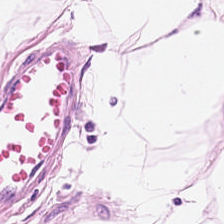{"tissue_type": "adipocytes"}
